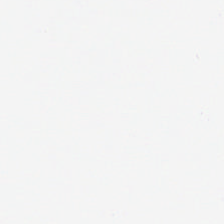H&E-stained tissue section.
This patch shows background (no tissue).
